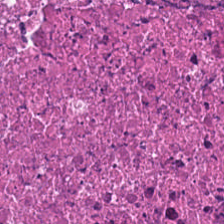H&E stain. The tissue here is necrotic debris.
